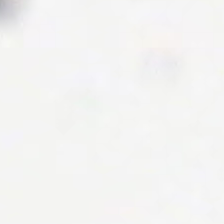Hematoxylin and eosin. 224×224 pixel tile. Content = no tissue.
